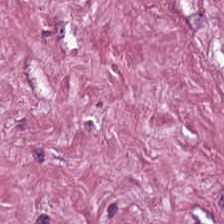H&E-stained tissue section · 0.5 µm per pixel. {"tissue_type": "desmoplastic stroma"}
